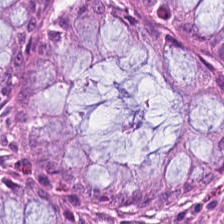H&E — Q: Identify the tissue.
A: Benign colonic mucosa.
